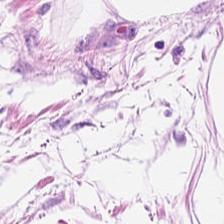H&E stain. Tissue class — fat tissue.
